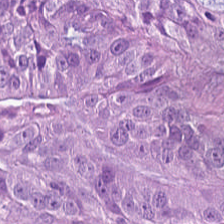224×224 px patch. Brightfield microscopy. H&E stain.
Q: What tissue is shown?
A: The field shows malignant epithelium.
